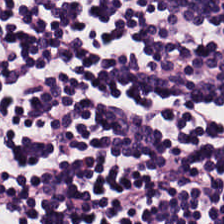H&E stain.
Predominant tissue = lymphocytic infiltrate.
